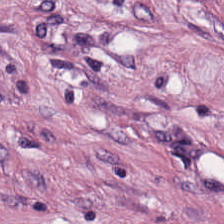H&E-stained tissue section · 0.5 microns per pixel · FFPE tissue section — The tissue here is desmoplastic stroma.
